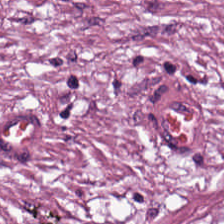Stain: H&E stain.
Preparation: FFPE.
Tile size: 224×224 pixel tile.
Predominant tissue: tumor stroma.
